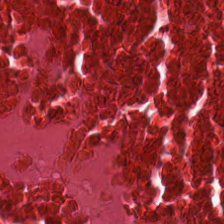20× equivalent magnification; H&E stain — Predominant tissue: cellular debris.
